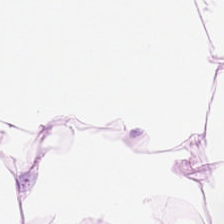H&E stain. {"tissue_type": "adipose tissue"}
